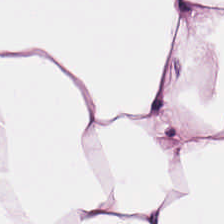Hematoxylin and eosin; 0.5 µm/px. Impression → adipose tissue.
